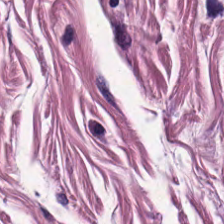Histology — smooth-muscle tissue.
